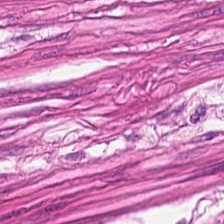Q: What does this patch show?
A: The field shows smooth muscle.
